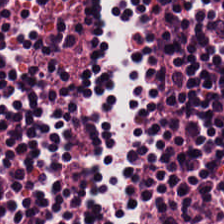Hematoxylin and eosin. 224×224 px tile.
Q: What is the predominant tissue type?
A: It is lymphocyte aggregate.
